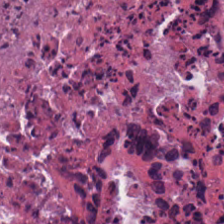Q: What does this patch show?
A: It is cellular debris.
